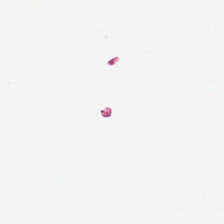This patch shows background.
